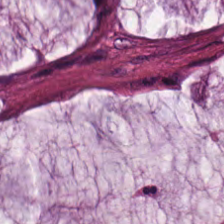H&E-stained tissue section showing mucin.
